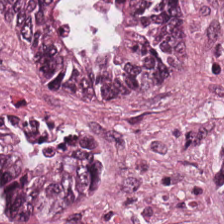This field is malignant epithelium.
